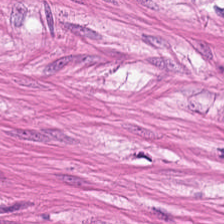H&E.
Tissue class — smooth muscle.
